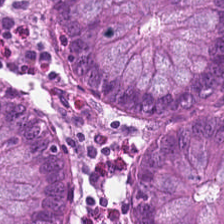H&E-stained tissue section. Histology — non-neoplastic colon mucosa.
